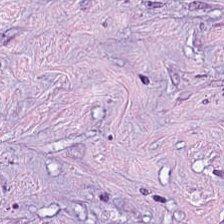Tissue — tumor-associated stroma.
